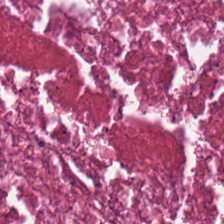This patch shows cellular debris.
